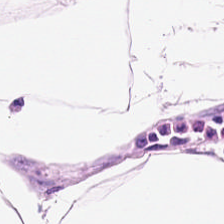H&E-stained section; the field shows adipose tissue.
